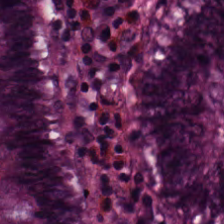H&E stain. Tissue type: normal colon mucosa.
